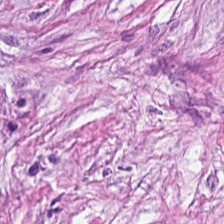H&E. Whole-slide-image patch. 20× equivalent magnification. Q: What tissue is shown?
A: It is tumor stroma.
